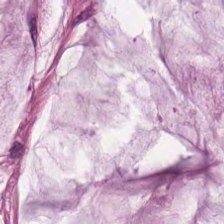H&E · 224×224 pixel tile · 0.5 µm/px. Tissue — extracellular mucin.
